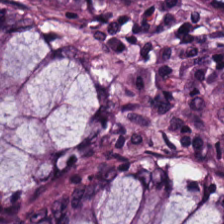Hematoxylin-and-eosin section: normal colonic mucosa.
